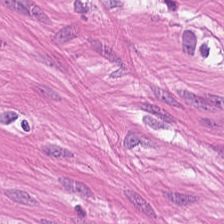H&E-stained tissue section.
Classification = smooth muscle.
